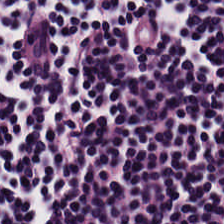Tissue = lymphoid infiltrate.
